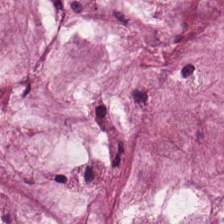224×224 px tile · H&E — Classification: mucus.
